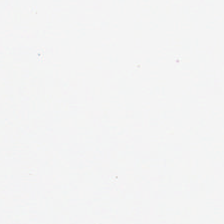H&E stain · 20× equivalent magnification.
No tissue present; background only.
